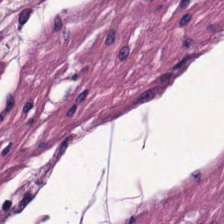0.5 microns per pixel. Hematoxylin and eosin. The predominant tissue is smooth muscle.
